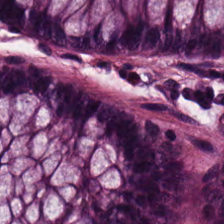224×224 pixel tile. Hematoxylin-and-eosin stained section — Predominantly non-neoplastic colon mucosa.
